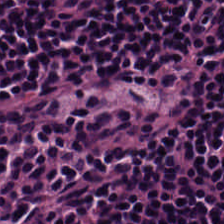Brightfield. Hematoxylin-and-eosin stained section.
This field is lymphocytic infiltrate.
